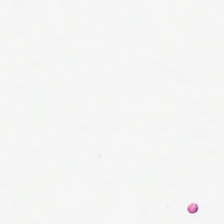H&E.
This field is background (no tissue).
